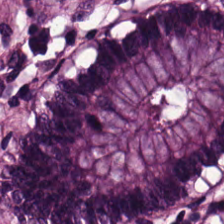This field is normal colonic mucosa.
